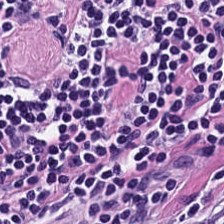0.5 µm per pixel; brightfield; H&E. Impression — lymphoid infiltrate.
